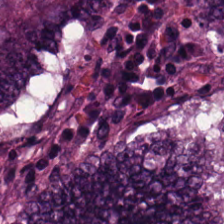H&E — This patch shows tumor epithelium.
